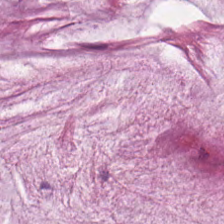Stain: H&E-stained tissue section.
Classification: mucin.
